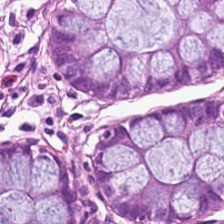224×224 px tile; H&E. This field is normal colonic mucosa.
